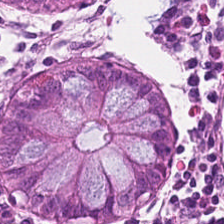Whole-slide-image patch; hematoxylin-and-eosin stained section. Tissue = non-neoplastic colon mucosa.
